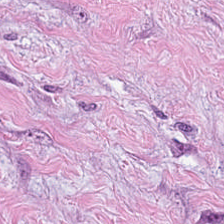Hematoxylin-and-eosin stained section.
Q: What is shown in this field?
A: It is tumor stroma.
